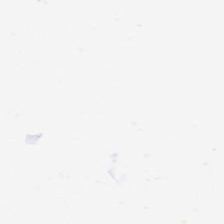0.5 µm/px. Hematoxylin-and-eosin stained section. Impression → empty background.
